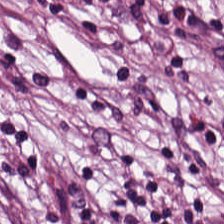Impression — cancer-associated stroma.
